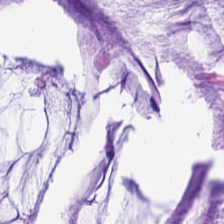Stain: hematoxylin-and-eosin stained section.
Tissue: mucin.
